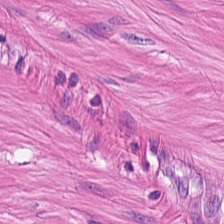Stain: hematoxylin and eosin.
Tile size: 224×224 px tile.
Acquisition: WSI patch.
Classification: smooth muscle.
